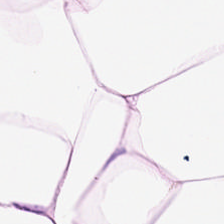H&E — This patch shows adipose.
